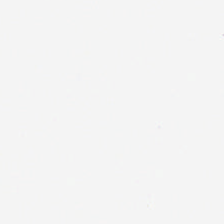Stain: H&E.
Field content: background (no tissue).
